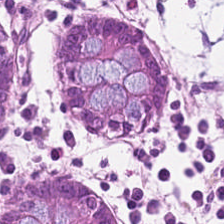H&E.
Histology → benign colonic mucosa.
